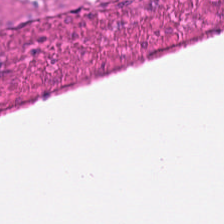Smooth-muscle tissue.
